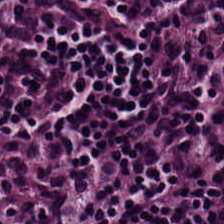Hematoxylin and eosin.
Q: What does this patch show?
A: This is lymphocytes.
